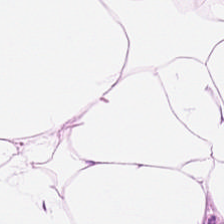Brightfield · H&E stain — Tissue — adipocytes.
